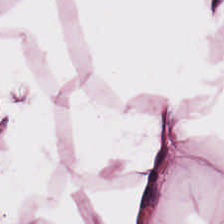Hematoxylin-and-eosin stained section.
Q: What is the predominant tissue type?
A: It is adipocytes.
